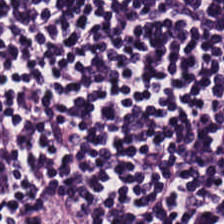Predominantly lymphocytes.
